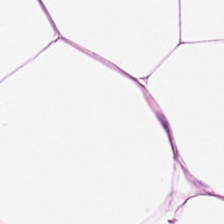H&E stain. The tissue class is adipose tissue.
